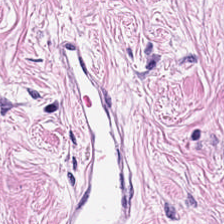Hematoxylin-and-eosin stained section. 0.5 µm per pixel. Predominant tissue: desmoplastic stroma.
